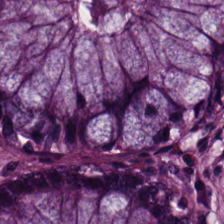Hematoxylin-and-eosin stained section. Impression → non-neoplastic colon mucosa.
